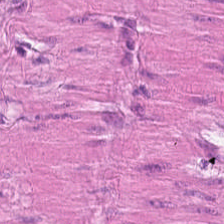Whole-slide-image patch. H&E.
Finding — smooth-muscle tissue.
